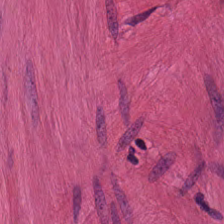The tissue type is muscularis.
